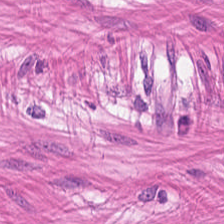{"tissue_type": "smooth-muscle tissue"}
